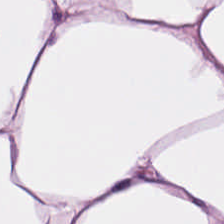Predominant tissue — adipose.
